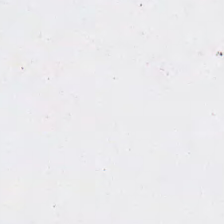The content is empty background.
